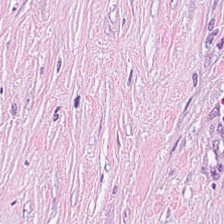H&E. {"tissue_type": "tumor-associated stroma"}
